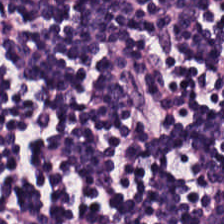Q: What is the predominant tissue type?
A: This is lymphocyte aggregate.
